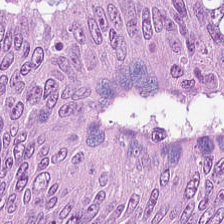H&E.
Predominantly adenocarcinoma.
